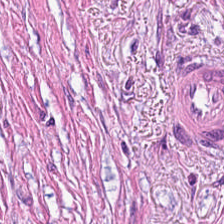The tissue type is cancer-associated stroma.
